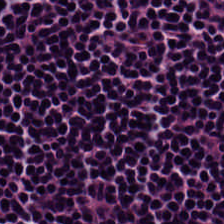FFPE. H&E — This patch shows lymphocyte aggregate.
